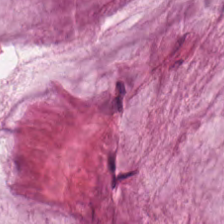224×224 px tile. Hematoxylin-and-eosin stained section.
{"tissue_type": "mucus"}
